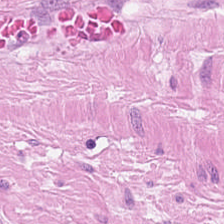Hematoxylin-and-eosin stained section — Q: What is shown here?
A: Muscularis.
